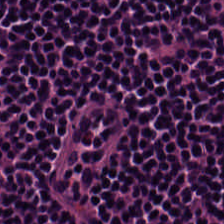Hematoxylin-and-eosin stained section.
The tissue is lymphoid infiltrate.
